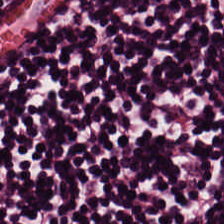H&E stain; whole-slide-image patch — Showing lymphocytes.
